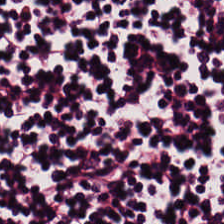Hematoxylin-and-eosin stained section — Tissue class: lymphocytes.
